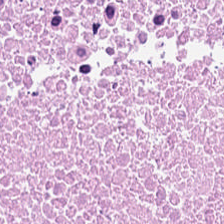H&E stain · WSI patch · 0.5 µm/px. Q: Identify the tissue.
A: It is necrotic debris.
